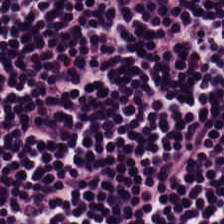Hematoxylin and eosin — Q: What is shown in this field?
A: Lymphocytes.
